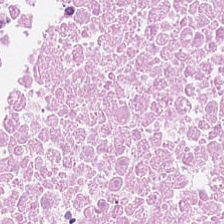Hematoxylin and eosin. 224×224 pixel tile — The tissue type is necrotic debris.
